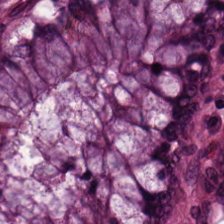Hematoxylin-and-eosin stained section · brightfield · 0.5 µm/px — Predominant tissue: normal colonic mucosa.
